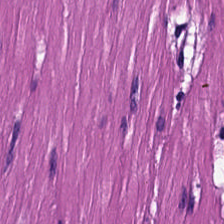Stain: H&E.
Predominant tissue: muscularis.
